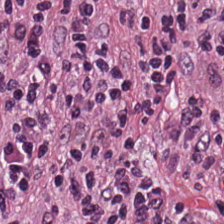H&E-stained tissue section; whole-slide-image patch.
Tissue — lymphocytes.
